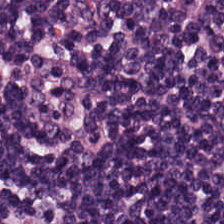Hematoxylin-and-eosin stained section · FFPE. Tissue class — lymphoid infiltrate.
